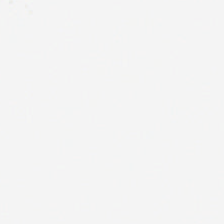Impression → empty background.
